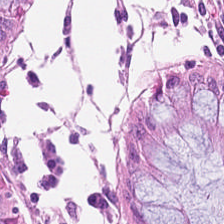Impression — normal colon mucosa.
